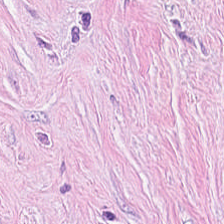This field is tumor stroma.
